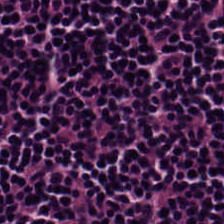Stain: H&E stain.
Predominant tissue: lymphocytic infiltrate.
